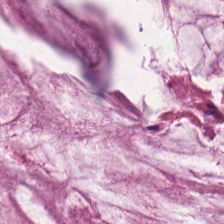H&E-stained tissue section. {"tissue_type": "extracellular mucin"}
